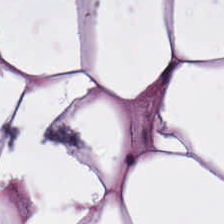This patch shows fat tissue.
